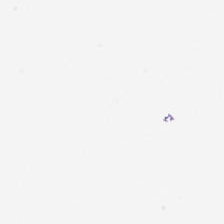H&E.
Field content: background (no tissue).
